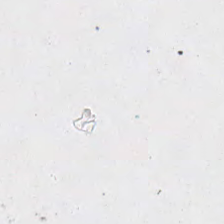H&E. This field is background (no tissue).
